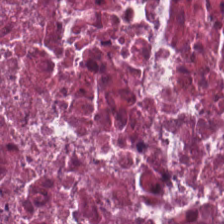Cellular debris.
